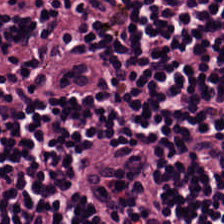Histology → lymphocytic infiltrate.
